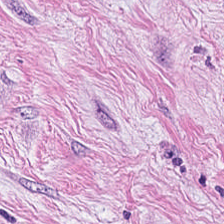Stain: H&E-stained tissue section.
Tissue type: tumor stroma.
